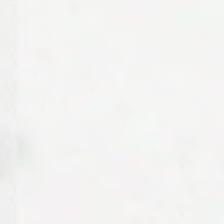H&E-stained tissue section.
Background — no tissue in this field.
